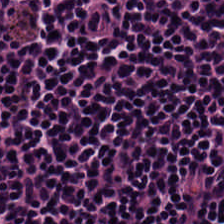H&E — Finding → lymphocytes.
